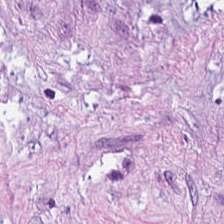WSI patch · 20× equivalent magnification · hematoxylin-and-eosin stained section. Tissue class: tumor-associated stroma.
